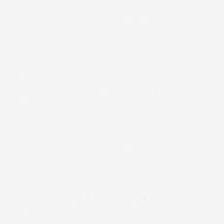Hematoxylin-and-eosin stained section.
Empty background.
